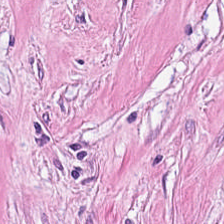H&E. Brightfield microscopy. Finding → cancer-associated stroma.
